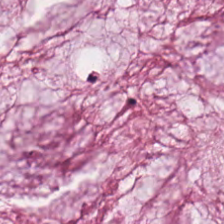Whole-slide-image patch; 0.5 microns per pixel; H&E.
The tissue here is mucus.
